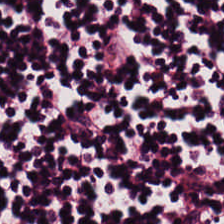Hematoxylin-and-eosin stained section · 224×224 pixel tile.
This patch shows lymphocytes.
